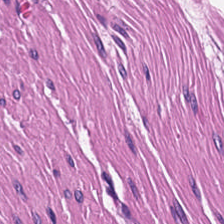0.5 µm per pixel · FFPE · H&E stain.
Predominantly muscularis.
